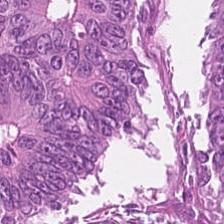WSI patch; formalin-fixed paraffin-embedded section; hematoxylin-and-eosin stained section — The predominant tissue is tumor epithelium.
